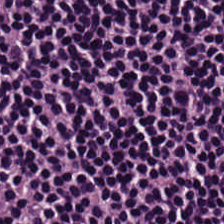Hematoxylin and eosin · 224×224 px patch. {"tissue_type": "lymphocyte aggregate"}
